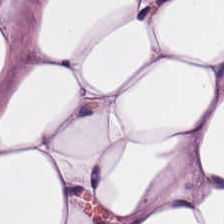H&E stain.
Classification = fat tissue.
